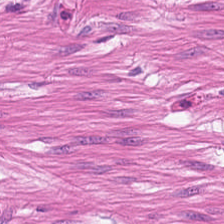Stain: H&E-stained tissue section.
Tissue class: smooth-muscle tissue.
